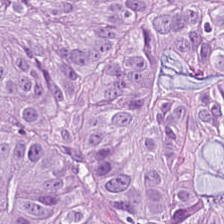This field is colorectal adenocarcinoma.
